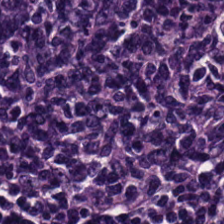Classification — lymphocytes.
